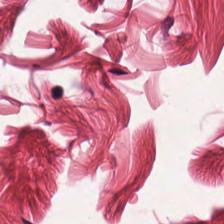Brightfield microscopy · 0.5 microns per pixel · H&E stain. Predominant tissue — smooth-muscle tissue.
